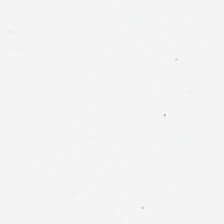H&E. No tissue present; background only.
